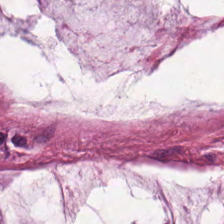Histology → mucus.
